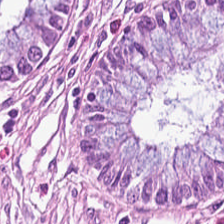{"tissue_type": "normal colonic mucosa"}
